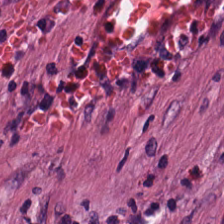0.5 microns per pixel; FFPE; H&E-stained tissue section — This patch shows tumor-associated stroma.
